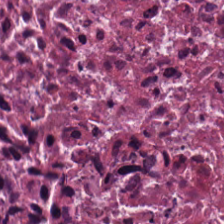H&E.
This field is necrotic debris.
